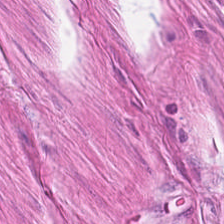Hematoxylin and eosin. Histology → muscularis.
